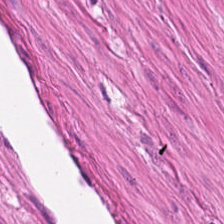H&E-stained tissue section. 224×224 px patch — Q: What is shown here?
A: It is muscularis.
